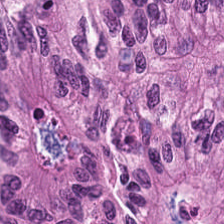H&E-stained tissue section. Tissue class = adenocarcinoma.
